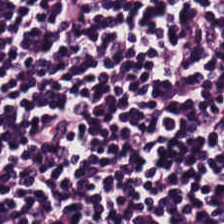H&E.
This field is lymphocyte aggregate.
